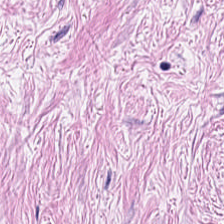0.5 µm/px; hematoxylin and eosin — Tissue class — desmoplastic stroma.
